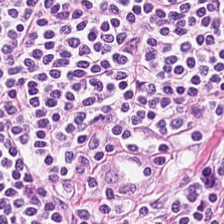Stain: H&E-stained tissue section.
Tile size: 224×224 px patch.
Acquisition: brightfield microscopy.
Tissue: lymphoid infiltrate.
